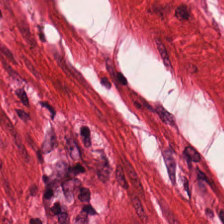H&E-stained tissue section — Tissue class = smooth muscle.
